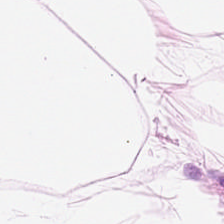H&E-stained tissue section. This patch shows fat tissue.
